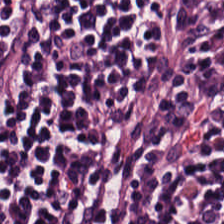Classification — lymphocytes.
